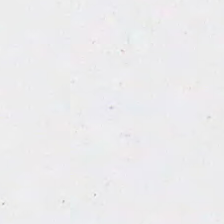224×224 pixel tile. H&E. Background — no tissue in this field.
